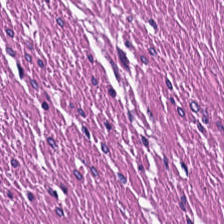H&E-stained tissue section — Smooth-muscle tissue.
